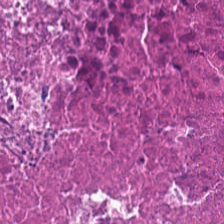H&E-stained tissue section — Predominantly necrotic debris.
